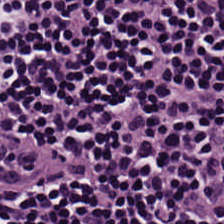Hematoxylin-and-eosin stained section. Tissue type — lymphocytic infiltrate.
